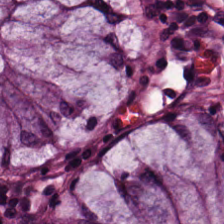0.5 µm per pixel · FFPE · H&E stain. The predominant tissue is normal colonic mucosa.
